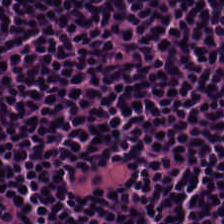FFPE tissue section. H&E stain. Brightfield microscopy — The predominant tissue is lymphocytic infiltrate.
